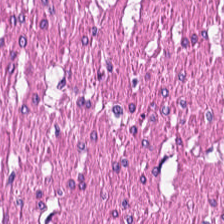Hematoxylin-and-eosin stained section — Q: What tissue is shown?
A: This is smooth-muscle tissue.
